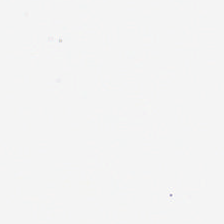H&E-stained tissue section. Q: Classify this patch.
A: The field shows background.
